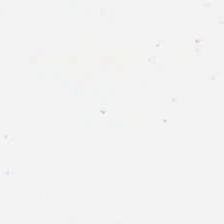Field content: empty background.
